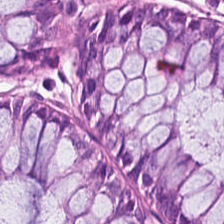Classification — normal colonic mucosa.
